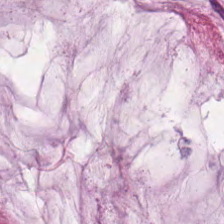H&E.
Tissue class — extracellular mucin.
